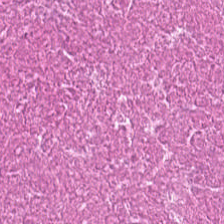Q: What tissue type is shown here?
A: This is necrotic debris.
